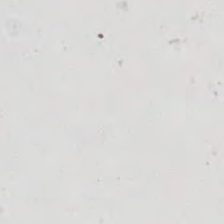Brightfield microscopy. H&E-stained tissue section.
Q: Classify this patch.
A: It is no tissue.
